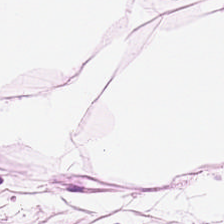H&E-stained tissue section. Predominant tissue = adipose tissue.
